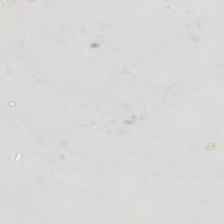Hematoxylin and eosin. Histology → background.
